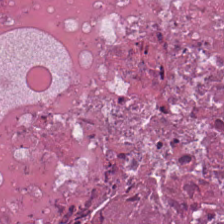H&E-stained section; the field shows necrotic debris.
